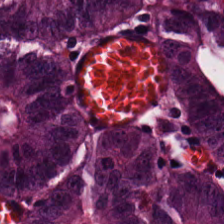H&E — Finding → colorectal adenocarcinoma epithelium.
